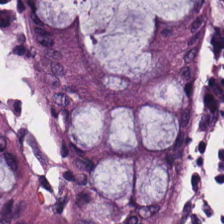The predominant tissue is non-neoplastic colon mucosa.
